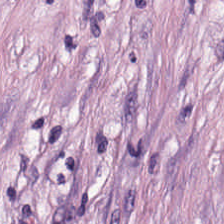Hematoxylin-and-eosin stained section; FFPE — Tissue class = tumor stroma.
